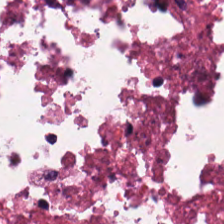H&E-stained tissue section; brightfield microscopy. The predominant tissue is cellular debris.
